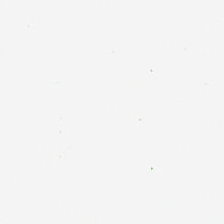Hematoxylin and eosin. Classification — background.
